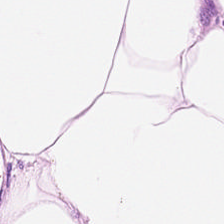Stain: H&E-stained tissue section.
Predominant tissue: fat tissue.
